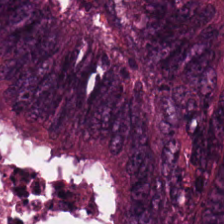H&E-stained tissue section showing tumor epithelium.
